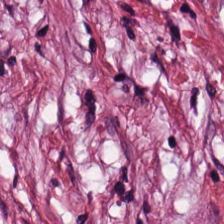224×224 pixel tile · 0.5 microns per pixel · hematoxylin-and-eosin stained section — This patch shows cancer-associated stroma.
